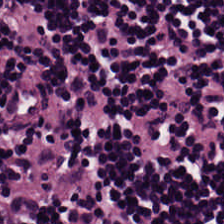Hematoxylin and eosin; 0.5 µm per pixel — Q: What does this patch show?
A: It is lymphoid infiltrate.
